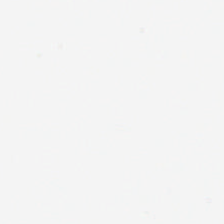Hematoxylin-and-eosin stained section. Impression — background (no tissue).
